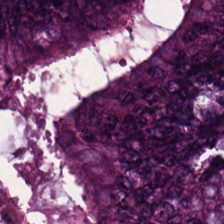Hematoxylin-and-eosin stained section. 0.5 microns per pixel. 224×224 pixel tile.
This field is malignant epithelium.
